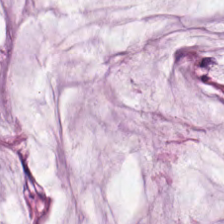Hematoxylin and eosin.
Histology → mucus.
